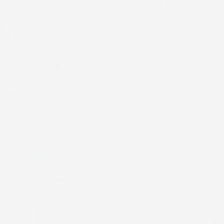H&E-stained tissue section — Q: What is shown here?
A: Empty background.
